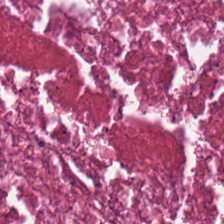Hematoxylin-and-eosin stained section — {"tissue_type": "necrotic debris"}
